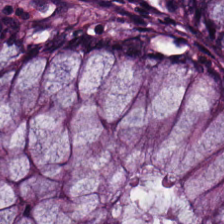FFPE. Hematoxylin-and-eosin stained section. Brightfield microscopy.
Normal colon mucosa.
